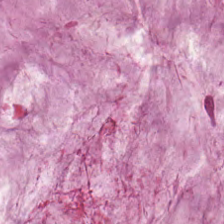224×224 px patch · hematoxylin-and-eosin stained section.
The predominant tissue is extracellular mucin.
